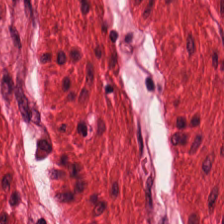H&E stain. Formalin-fixed paraffin-embedded section — {"tissue_type": "muscularis"}
